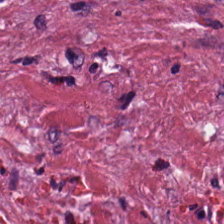H&E — tumor-associated stroma.
